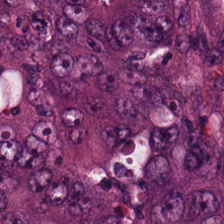WSI patch; H&E-stained tissue section; FFPE tissue section — Q: Classify this patch.
A: This is adenocarcinoma.
